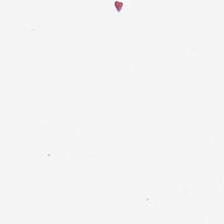Brightfield; formalin-fixed paraffin-embedded section; H&E stain — Field content = background.
